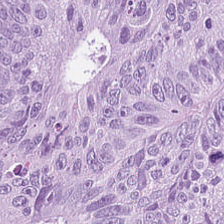H&E-stained tissue section.
Q: What is the predominant tissue type?
A: It is tumor epithelium.
